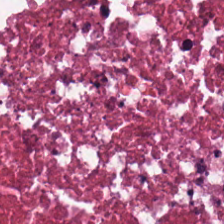H&E.
Predominantly cellular debris.
